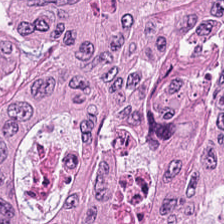Brightfield microscopy. H&E-stained tissue section.
Tumor epithelium.
